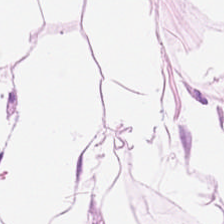H&E. Tissue = fat tissue.
